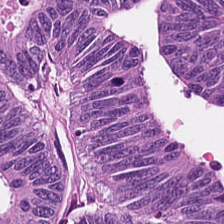Stain: H&E-stained tissue section.
Tissue type: colorectal adenocarcinoma.
